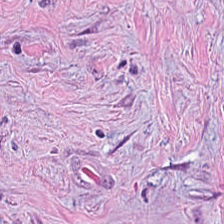Predominantly desmoplastic stroma.
